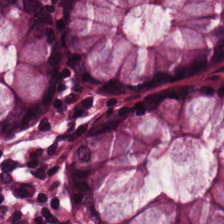Hematoxylin and eosin — Impression → normal colonic mucosa.
